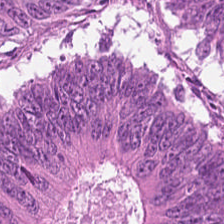H&E-stained tissue section.
The classification is adenocarcinoma.
